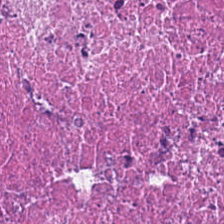H&E-stained tissue section · 0.5 microns per pixel. Q: What does this patch show?
A: Debris.
